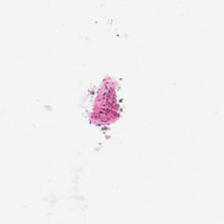H&E stain.
Content: background.
